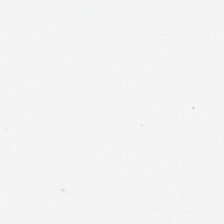Histology — background (no tissue).
